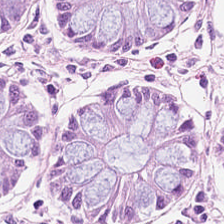H&E · brightfield. The tissue here is normal colon mucosa.
